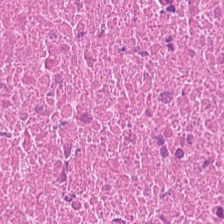224×224 pixel tile. H&E stain. Predominantly necrotic debris.
